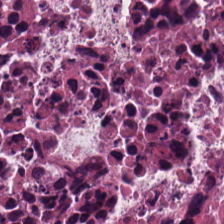FFPE · H&E-stained tissue section — This field is debris.
